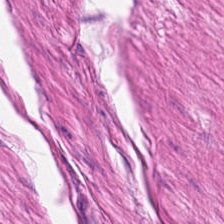Hematoxylin-and-eosin stained section — The predominant tissue is muscularis.
